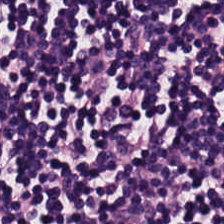Q: What tissue type is shown here?
A: The field shows lymphocytic infiltrate.
